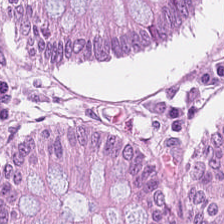Brightfield microscopy. H&E-stained tissue section — Tissue: benign colonic mucosa.
